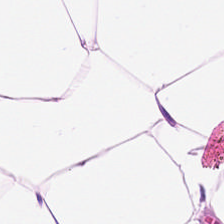H&E · FFPE tissue section — Tissue class = fat tissue.
